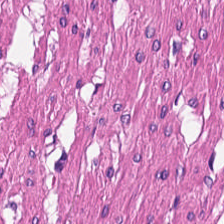H&E stain · 224×224 pixel tile — Q: Identify the tissue.
A: Muscularis.
